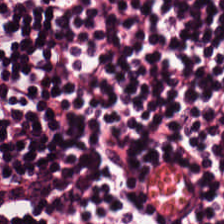Hematoxylin-and-eosin stained section. Q: What tissue is shown?
A: The field shows lymphocytes.
